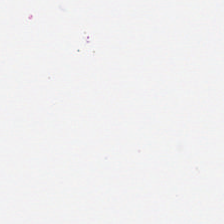Stain: H&E stain.
Field content: background (no tissue).
